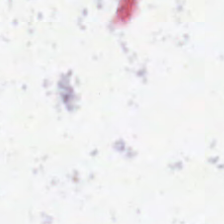H&E stain. 0.5 µm per pixel.
This patch shows background (no tissue).
